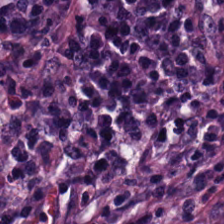0.5 µm/px · brightfield · H&E — Tissue type — lymphoid infiltrate.
